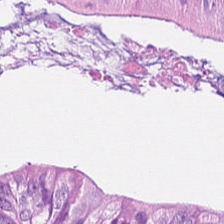Hematoxylin-and-eosin stained section. Predominant tissue: colorectal adenocarcinoma epithelium.
